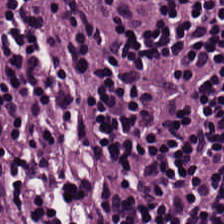H&E. This patch shows lymphocyte aggregate.
